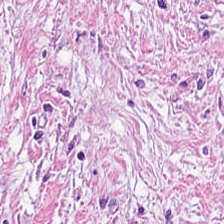Hematoxylin and eosin; 0.5 microns per pixel. Predominant tissue = cancer-associated stroma.
